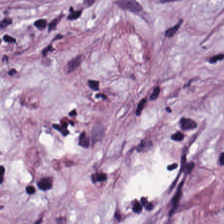H&E-stained tissue section — Predominantly desmoplastic stroma.
